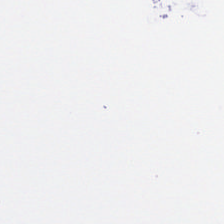FFPE; hematoxylin and eosin — Content: background (no tissue).
